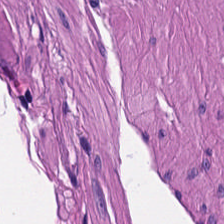Stain: H&E stain.
Preparation: FFPE.
Acquisition: brightfield.
Classification: smooth muscle.
